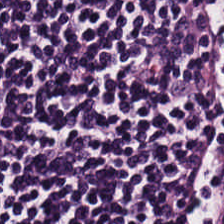Lymphocytic infiltrate.
